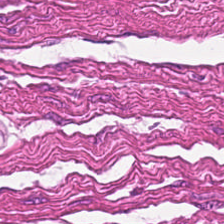Smooth-muscle tissue.
